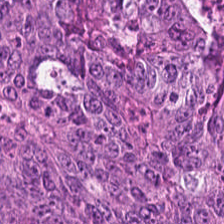H&E stain · FFPE tissue section.
This patch shows colorectal adenocarcinoma epithelium.
